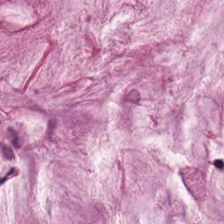0.5 µm/px · hematoxylin-and-eosin stained section — This field is mucin.
